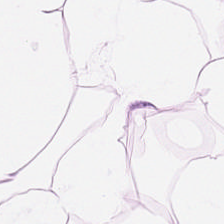Finding — adipose tissue.
